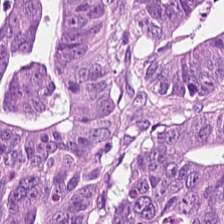0.5 µm per pixel · hematoxylin-and-eosin stained section.
Tissue type = tumor epithelium.
